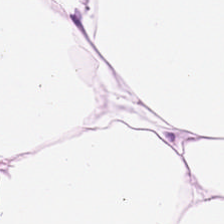H&E. Impression — adipose tissue.
